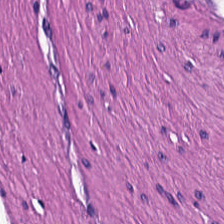Hematoxylin and eosin. Q: What tissue is shown?
A: The field shows smooth-muscle tissue.
